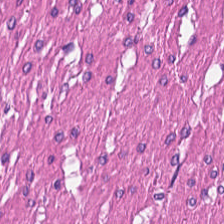FFPE tissue section · H&E-stained tissue section — {"tissue_type": "smooth muscle"}
